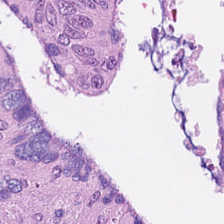Finding → malignant epithelium.
